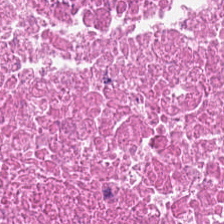H&E. Histology — cellular debris.
